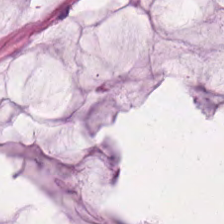0.5 µm/px · H&E stain.
This field is mucus.
